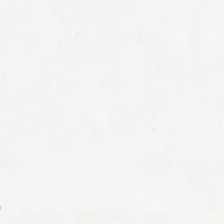H&E stain. Content — background (no tissue).
